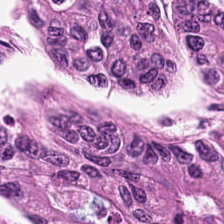Hematoxylin and eosin; 224×224 px tile.
Impression — colorectal adenocarcinoma epithelium.
